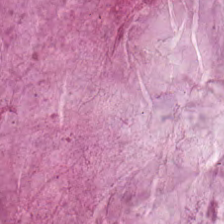Mucus.
